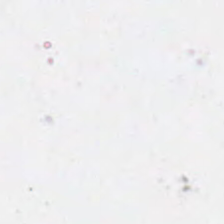Q: Classify this patch.
A: It is background (no tissue).
